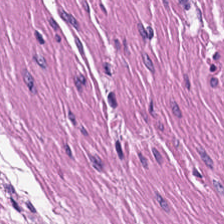Hematoxylin-and-eosin stained section — The tissue type is smooth-muscle tissue.
